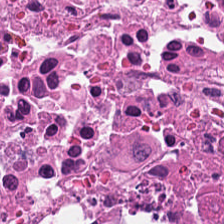Impression → cellular debris.
